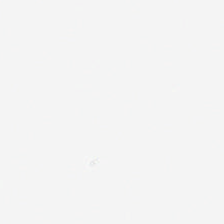Finding → background (no tissue).
